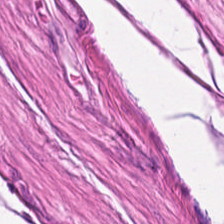Tissue class = muscularis.
